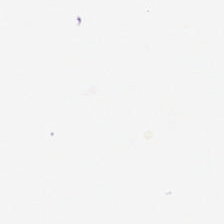Hematoxylin and eosin. This field is background (no tissue).
